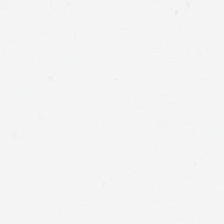This field is background (no tissue).
